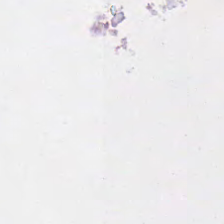H&E stain · formalin-fixed paraffin-embedded section — Content = empty background.
